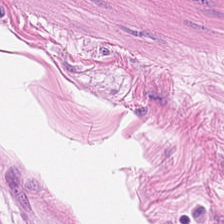Hematoxylin-and-eosin stained section — {"tissue_type": "muscularis"}
